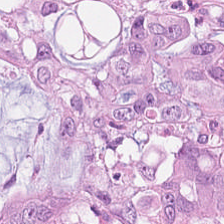Hematoxylin and eosin. Formalin-fixed paraffin-embedded section — Finding → tumor epithelium.
